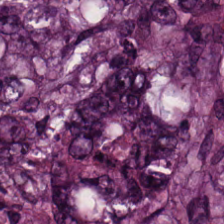Tissue class — malignant epithelium.
